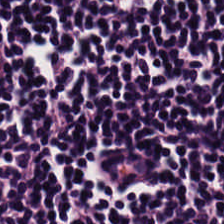Hematoxylin-and-eosin stained section.
This patch shows lymphocytes.
